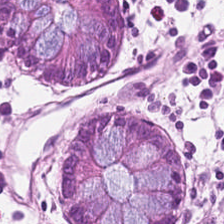Formalin-fixed paraffin-embedded section; hematoxylin-and-eosin stained section — Q: What is the predominant tissue type?
A: This is benign colonic mucosa.
